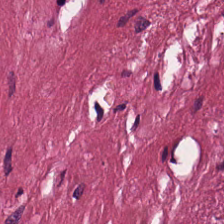Stain: H&E-stained tissue section.
Preparation: formalin-fixed paraffin-embedded section.
Tissue: desmoplastic stroma.
